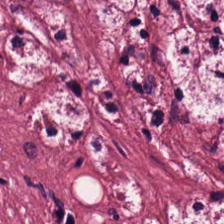Hematoxylin-and-eosin stained section; formalin-fixed paraffin-embedded section.
Histology → desmoplastic stroma.
